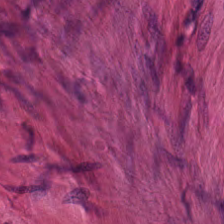Hematoxylin and eosin.
{"tissue_type": "smooth muscle"}
